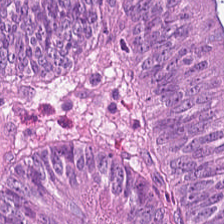H&E; 0.5 microns per pixel; formalin-fixed paraffin-embedded section.
Predominantly colorectal adenocarcinoma epithelium.
